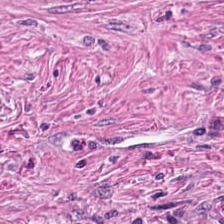Brightfield; 0.5 µm/px; H&E stain. Q: What tissue is shown?
A: This is desmoplastic stroma.
